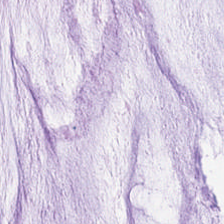Stain: H&E-stained tissue section.
Tissue: mucin.
